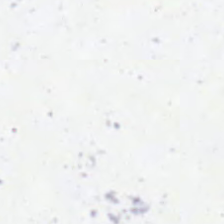Stain: H&E.
Tile size: 224×224 px patch.
Content: no tissue.
